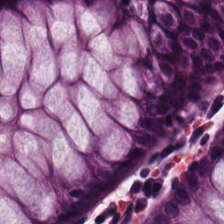The tissue is benign colonic mucosa.
